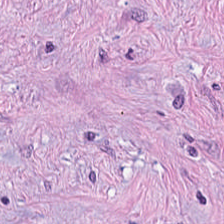The tissue class is tumor-associated stroma.
